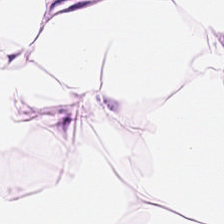H&E-stained tissue section. 0.5 µm/px. This field is adipocytes.
